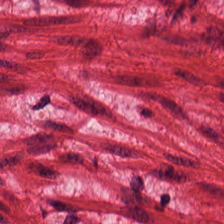Hematoxylin and eosin.
Impression → smooth muscle.
